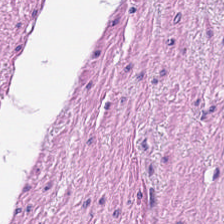Finding — muscularis.
